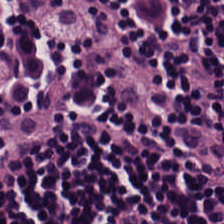The classification is lymphocytic infiltrate.
